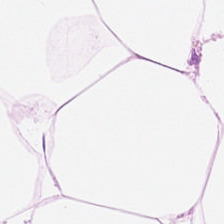H&E · brightfield microscopy · 224×224 px patch — Predominantly adipose tissue.
